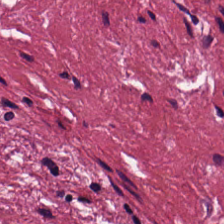H&E-stained tissue section; brightfield microscopy. The tissue is tumor-associated stroma.
